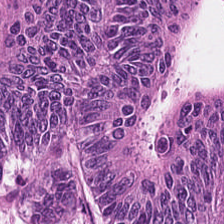224×224 px patch · H&E stain.
Tissue class = tumor epithelium.
